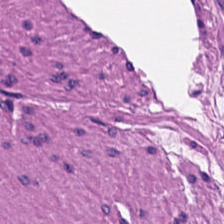The tissue class is smooth muscle.
